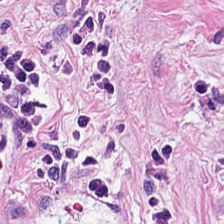Tissue class = cancer-associated stroma.
